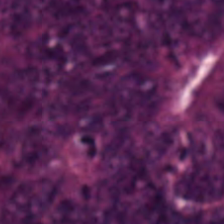WSI patch · H&E stain — Q: Identify the tissue.
A: This is colorectal adenocarcinoma epithelium.
